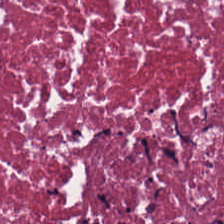224×224 pixel tile · hematoxylin and eosin — This patch shows debris.
